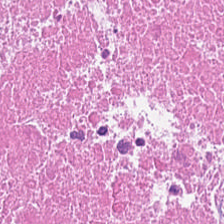The tissue type is debris.
